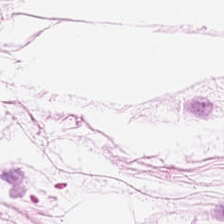Hematoxylin and eosin. The tissue here is adipocytes.
